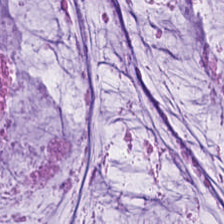Hematoxylin-and-eosin stained section. Finding → mucus.
